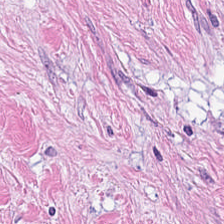Hematoxylin-and-eosin section: tumor-associated stroma.
